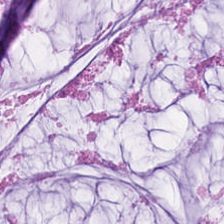H&E-stained tissue section.
Showing mucin.
